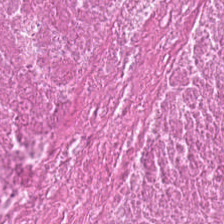Hematoxylin and eosin; 224×224 px tile — Classification = cellular debris.
